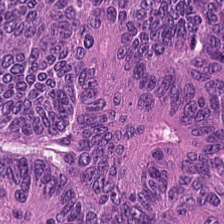H&E stain. Predominant tissue = tumor epithelium.
